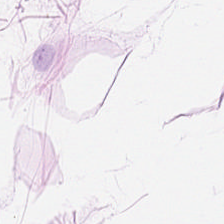Impression — adipocytes.
